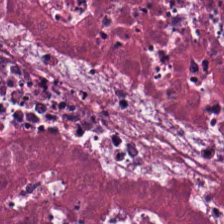Predominant tissue — cellular debris.
